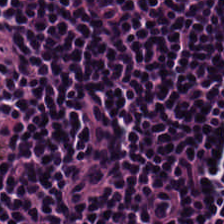H&E patch showing lymphocyte aggregate.
